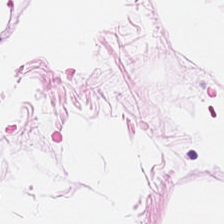Hematoxylin-and-eosin stained section — Q: Identify the tissue.
A: This is adipose tissue.
